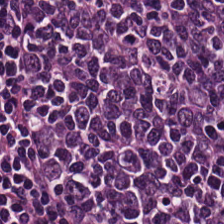Hematoxylin-and-eosin stained section. Brightfield microscopy — Predominant tissue = lymphoid infiltrate.
